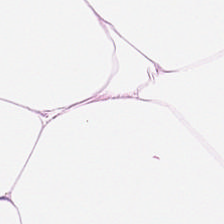Showing fat tissue.
